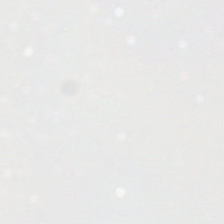H&E-stained tissue section. Q: What is shown in this field?
A: Background.
